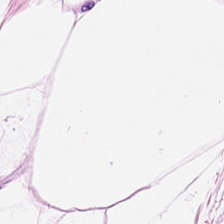Hematoxylin and eosin — Predominantly adipose tissue.
